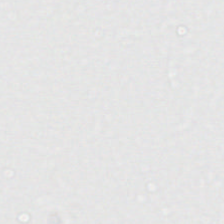No tissue present; background only.
